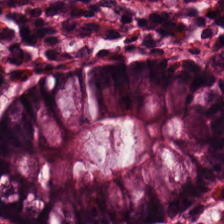0.5 microns per pixel. WSI patch. H&E-stained tissue section. Normal colonic mucosa.
